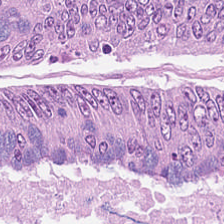H&E-stained tissue section showing colorectal adenocarcinoma epithelium.
